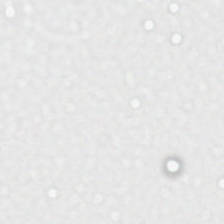Impression → background.
